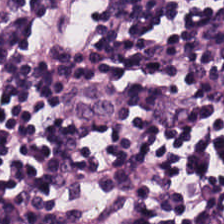Hematoxylin-and-eosin stained section — The tissue here is lymphoid infiltrate.
